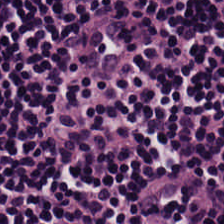H&E — lymphocyte aggregate.
